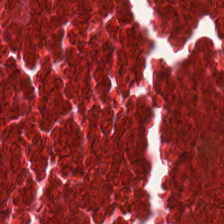H&E.
Q: Classify this patch.
A: It is debris.
